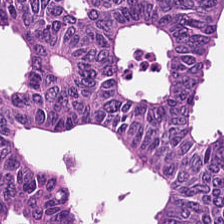Impression — colorectal adenocarcinoma epithelium.
